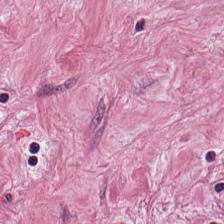20× equivalent magnification; H&E-stained tissue section; WSI patch. Tissue: tumor stroma.
